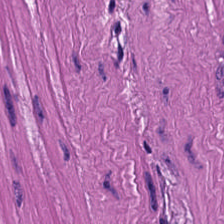FFPE; 20× equivalent magnification; H&E.
Predominant tissue: smooth muscle.
